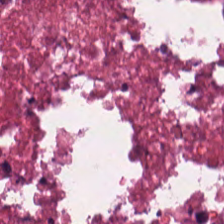Hematoxylin and eosin · whole-slide-image patch. {"tissue_type": "debris"}
